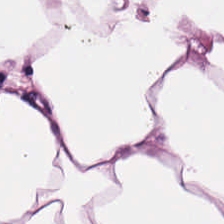H&E — Classification: adipose.
